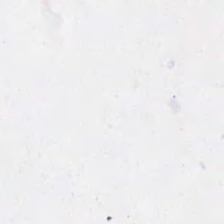Stain: H&E.
Content: background.
